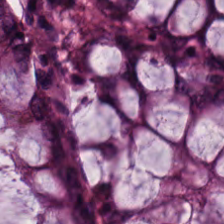{"tissue_type": "non-neoplastic colon mucosa"}
